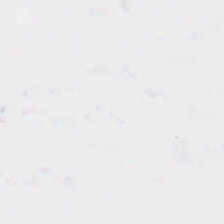224×224 px tile. H&E stain — Field content — empty background.
